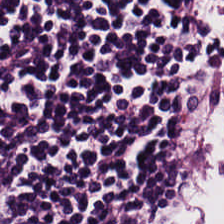The tissue type is lymphocytes.
